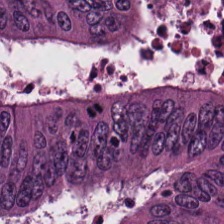Whole-slide-image patch; hematoxylin-and-eosin stained section; 224×224 px tile — The tissue class is tumor epithelium.
